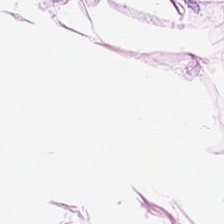Hematoxylin and eosin. 224×224 pixel tile. 0.5 microns per pixel. Tissue = fat tissue.
